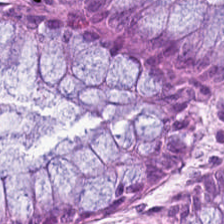H&E stain — Impression — non-neoplastic colon mucosa.
